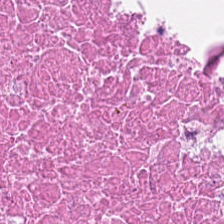FFPE tissue section · H&E-stained tissue section.
Histology — debris.
